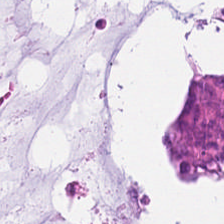H&E-stained tissue section. 20× equivalent magnification. FFPE. This field is mucin.
